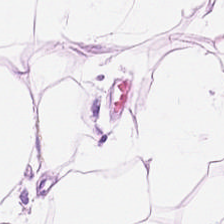Formalin-fixed paraffin-embedded section; H&E stain. Q: What is shown here?
A: This is adipose tissue.
